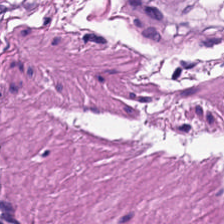Brightfield microscopy. Hematoxylin-and-eosin stained section. Tissue — smooth muscle.
